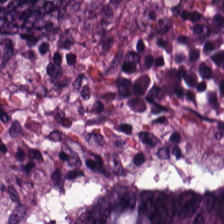Tissue type: adenocarcinoma.
